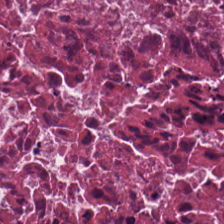H&E stain.
Impression — debris.
